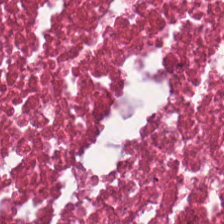Brightfield · 0.5 µm per pixel · H&E stain.
This field is debris.
